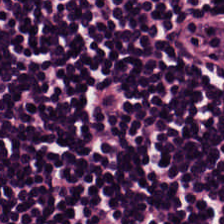FFPE tissue section. Hematoxylin and eosin.
The classification is lymphoid infiltrate.
